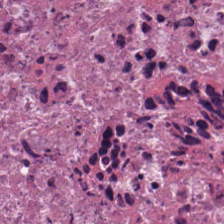Predominantly necrotic debris.
